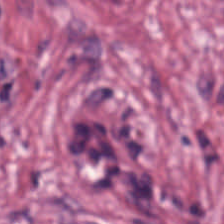H&E-stained section; the field shows desmoplastic stroma.
